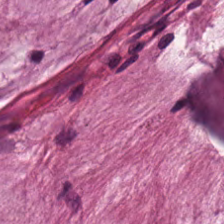H&E-stained tissue section. Predominantly mucin.
